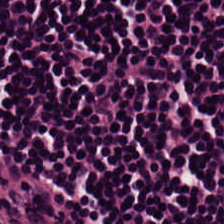Hematoxylin-and-eosin stained section.
Predominantly lymphoid infiltrate.
